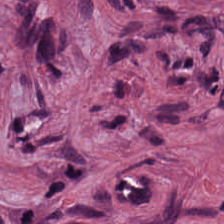H&E stain · 20× equivalent magnification · WSI patch. This patch shows cancer-associated stroma.
